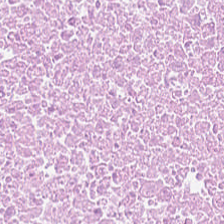Hematoxylin-and-eosin stained section; 20× equivalent magnification — The tissue here is necrotic debris.
